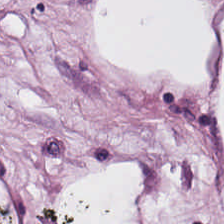Formalin-fixed paraffin-embedded section · H&E stain. Tissue — adipocytes.
